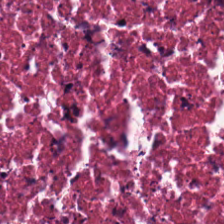224×224 pixel tile · hematoxylin and eosin. This patch shows cellular debris.
